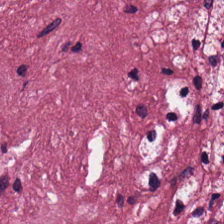H&E-stained tissue section — Tissue — tumor stroma.
